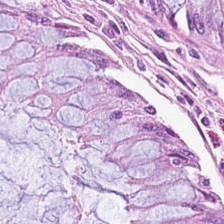Stain: hematoxylin and eosin.
Tissue class: non-neoplastic colon mucosa.
